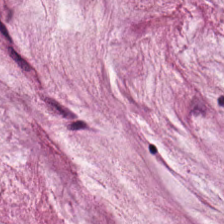Tissue class — extracellular mucin.
